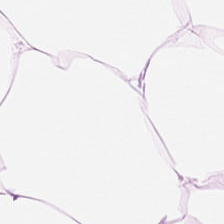H&E · brightfield.
Finding → adipocytes.
